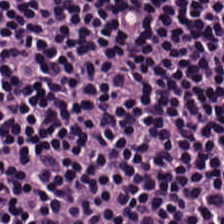H&E stain.
Histology — lymphocytic infiltrate.
